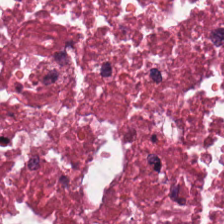FFPE tissue section. H&E-stained tissue section — {"tissue_type": "debris"}
